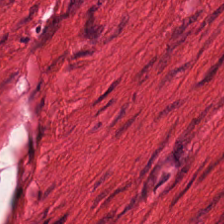Hematoxylin-and-eosin stained section; brightfield microscopy; 0.5 microns per pixel. Predominantly smooth-muscle tissue.
